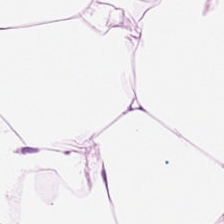Hematoxylin and eosin.
Tissue: adipose tissue.
